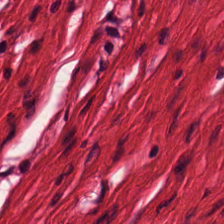H&E-stained tissue section · 0.5 µm/px.
This field is smooth muscle.
